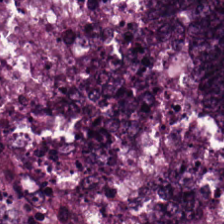224×224 pixel tile; H&E-stained tissue section; brightfield. Classification — malignant epithelium.
